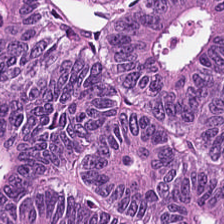Stain: H&E-stained tissue section.
Resolution: 0.5 µm/px.
Tissue: malignant epithelium.
